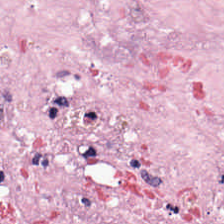H&E — Tissue type: tumor-associated stroma.
